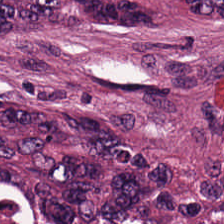H&E.
Predominant tissue = colorectal adenocarcinoma epithelium.
